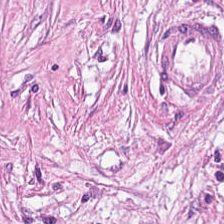The classification is desmoplastic stroma.
